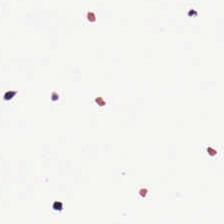Hematoxylin and eosin.
Finding → empty background.
